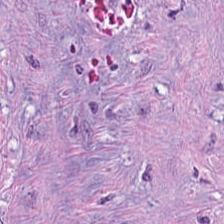Stain: H&E.
Preparation: formalin-fixed paraffin-embedded section.
Acquisition: brightfield.
Classification: tumor stroma.
